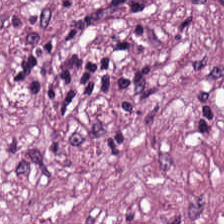Tissue class = tumor-associated stroma.
